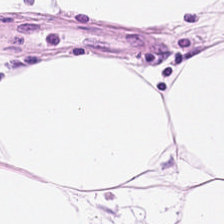Stain: H&E stain.
Classification: fat tissue.
